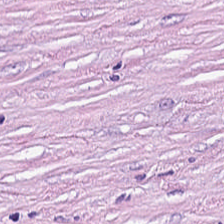Hematoxylin and eosin.
Tissue class = cancer-associated stroma.
